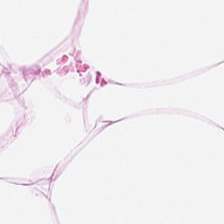H&E stain — Tissue class — fat tissue.
